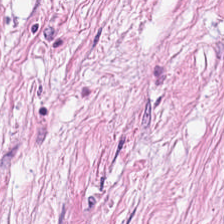224×224 pixel tile. H&E — This patch shows desmoplastic stroma.
